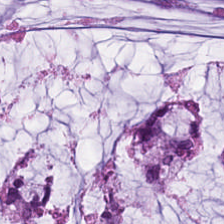H&E patch showing mucus.
